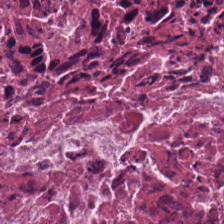Formalin-fixed paraffin-embedded section; 224×224 px tile; hematoxylin-and-eosin stained section. Classification: necrotic debris.
